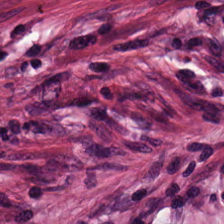H&E.
Tissue type — desmoplastic stroma.
